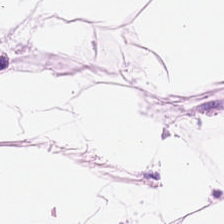224×224 px tile. H&E stain — Predominantly adipose tissue.
